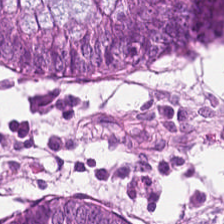224×224 px tile; H&E stain; 0.5 µm per pixel — Benign colonic mucosa.
